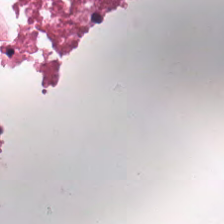H&E-stained tissue section. Histology — debris.
